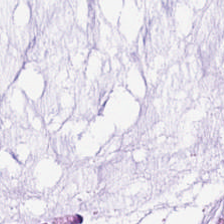Hematoxylin-and-eosin stained section — Q: What tissue is shown?
A: This is mucus.
